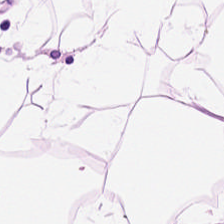H&E — The predominant tissue is adipose tissue.
